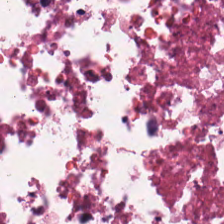Stain: H&E.
Tissue class: cellular debris.
